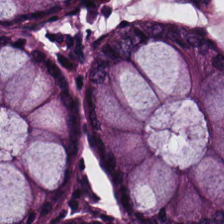0.5 microns per pixel · H&E-stained tissue section. This patch shows normal colonic mucosa.
